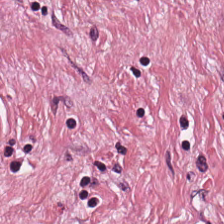H&E-stained tissue section. Formalin-fixed paraffin-embedded section — Predominantly tumor-associated stroma.
